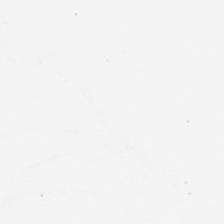Stain: hematoxylin and eosin.
Field content: background.
